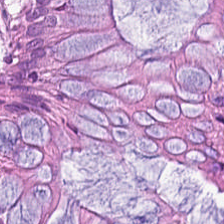224×224 px tile; FFPE; H&E stain. The classification is normal colon mucosa.
